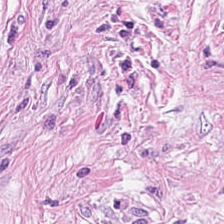Stain: H&E stain.
Resolution: 0.5 µm per pixel.
Tissue type: cancer-associated stroma.
